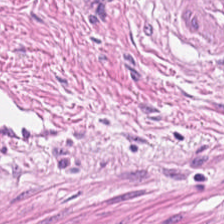H&E-stained tissue section; FFPE tissue section. Smooth-muscle tissue.
